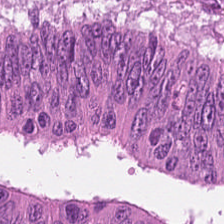H&E-stained tissue section. Tissue type = colorectal adenocarcinoma epithelium.
